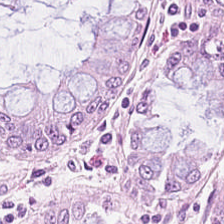Hematoxylin and eosin.
Tissue class — non-neoplastic colon mucosa.
